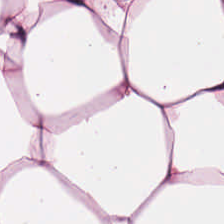The predominant tissue is adipocytes.
